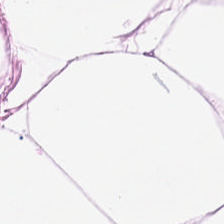Finding — adipose tissue.
